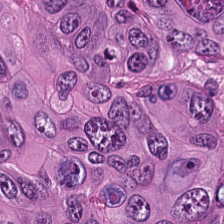20× equivalent magnification · H&E-stained tissue section. Q: What type of tissue is this?
A: Adenocarcinoma.
